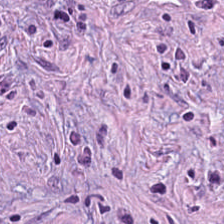Formalin-fixed paraffin-embedded section · H&E stain — The tissue here is tumor-associated stroma.
